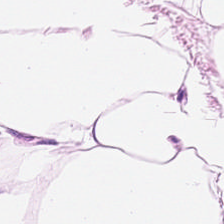H&E; FFPE — Fat tissue.
